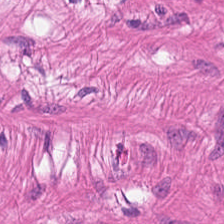Brightfield. H&E stain.
Tissue class — smooth-muscle tissue.
